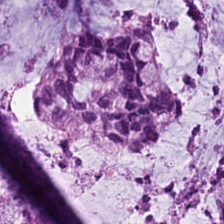0.5 µm per pixel. H&E. Brightfield. This patch shows mucus.
